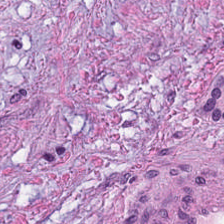H&E-stained tissue section. The tissue here is desmoplastic stroma.
